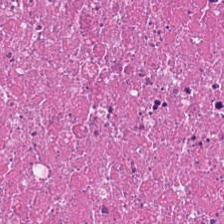Stain: H&E stain.
Tile size: 224×224 px patch.
Resolution: 0.5 microns per pixel.
Tissue class: debris.
